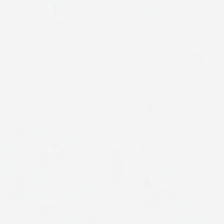Hematoxylin and eosin; brightfield microscopy.
Q: What is shown here?
A: This is empty background.
